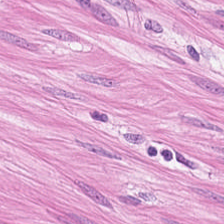Stain: H&E-stained tissue section.
Tissue: smooth muscle.
